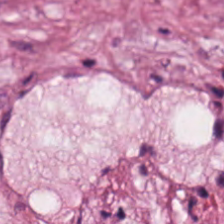H&E; whole-slide-image patch.
Finding — cancer-associated stroma.
